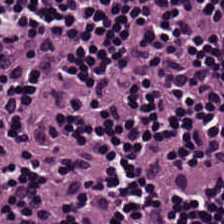Hematoxylin-and-eosin stained section — The tissue is lymphocyte aggregate.
